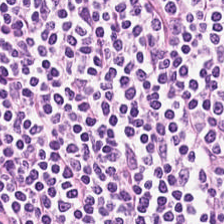Hematoxylin and eosin — {"tissue_type": "lymphocyte aggregate"}
